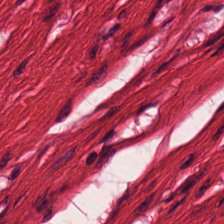H&E stain — The tissue here is muscularis.
